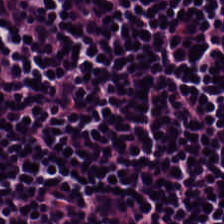Hematoxylin-and-eosin stained section. Q: What tissue type is shown here?
A: This is lymphocyte aggregate.
